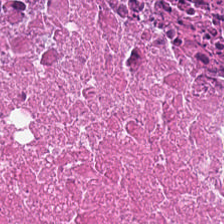Stain: hematoxylin and eosin.
Acquisition: brightfield microscopy.
Tile size: 224×224 px patch.
Predominant tissue: necrotic debris.
